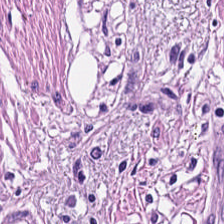Muscularis.
